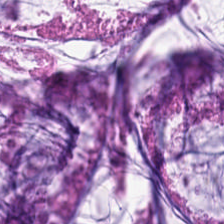H&E — Predominant tissue = extracellular mucin.
